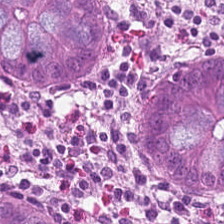H&E — The tissue here is benign colonic mucosa.
